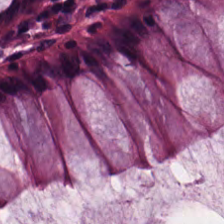The tissue is benign colonic mucosa.
